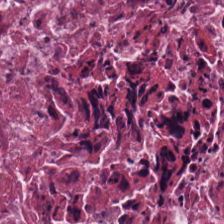H&E-stained tissue section — Tissue class — cellular debris.
